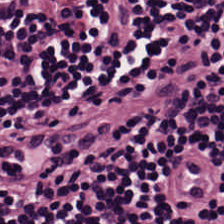H&E patch showing lymphocytic infiltrate.
